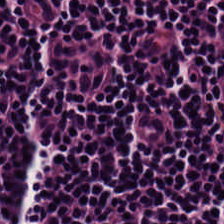224×224 px tile · H&E-stained tissue section — {"tissue_type": "lymphocyte aggregate"}
